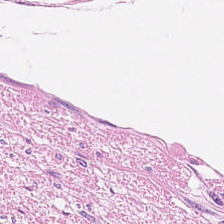Hematoxylin and eosin; FFPE tissue section; 224×224 px tile. Q: What is the predominant tissue type?
A: It is smooth-muscle tissue.
